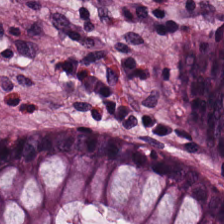224×224 px patch · formalin-fixed paraffin-embedded section · H&E stain.
Q: What type of tissue is this?
A: It is benign colonic mucosa.
